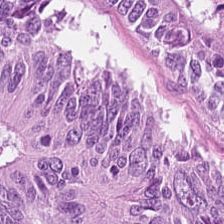Stain: H&E.
Tissue type: tumor epithelium.
